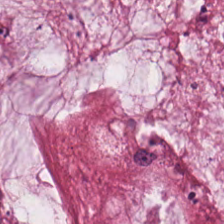Whole-slide-image patch. FFPE tissue section. Hematoxylin and eosin. The tissue class is extracellular mucin.
